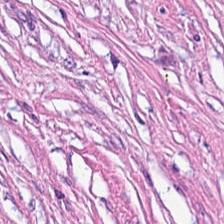Stain: hematoxylin and eosin.
Resolution: 0.5 µm/px.
Predominant tissue: tumor stroma.
